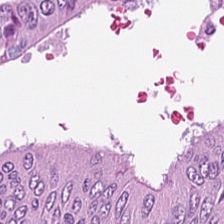H&E stain · 0.5 µm per pixel — Finding → tumor epithelium.
